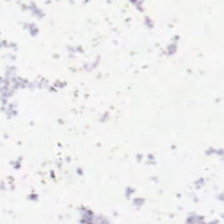H&E stain.
Histology — empty background.
